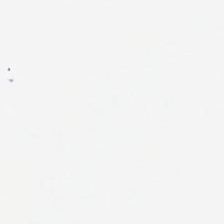Hematoxylin and eosin. Background — no tissue in this field.
